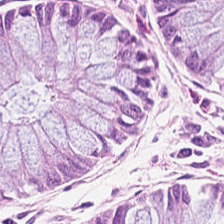Hematoxylin and eosin — Impression — non-neoplastic colon mucosa.
